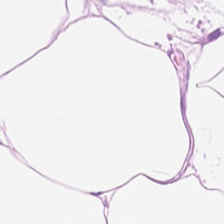Brightfield microscopy · hematoxylin and eosin — Tissue type — adipocytes.
